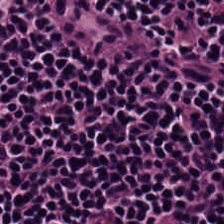224×224 px tile. Hematoxylin-and-eosin stained section. Whole-slide-image patch.
The tissue is lymphocytic infiltrate.
